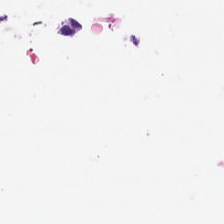The classification is background (no tissue).
